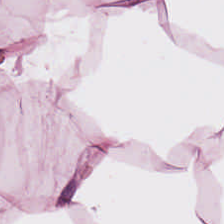Hematoxylin and eosin — Tissue — adipocytes.
